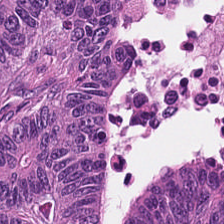Hematoxylin and eosin.
Q: What is the predominant tissue type?
A: Colorectal adenocarcinoma.
